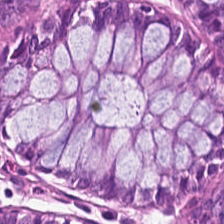Hematoxylin-and-eosin stained section. 20× equivalent magnification. Tissue type = non-neoplastic colon mucosa.
